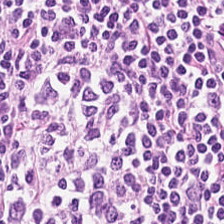H&E-stained tissue section. The predominant tissue is lymphocyte aggregate.
